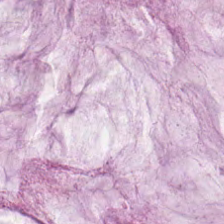Mucus.
